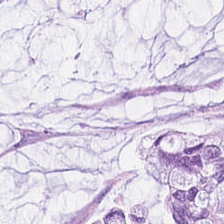H&E. {"tissue_type": "mucin"}
